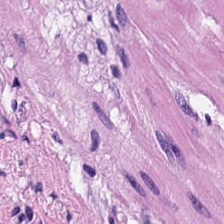H&E-stained tissue section — {"tissue_type": "smooth-muscle tissue"}
